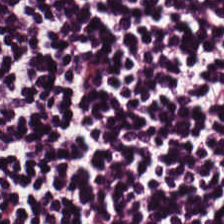Hematoxylin-and-eosin stained section.
Q: Identify the tissue.
A: This is lymphocyte aggregate.
